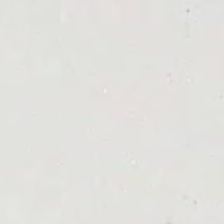Hematoxylin and eosin. 0.5 µm/px. 224×224 px tile — The content is empty background.
